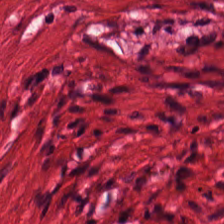Hematoxylin-and-eosin stained section.
Q: Identify the tissue.
A: This is smooth-muscle tissue.
